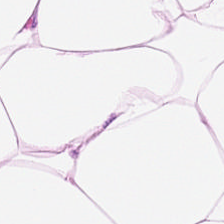Hematoxylin and eosin · formalin-fixed paraffin-embedded section. Q: What is the predominant tissue type?
A: Adipocytes.
